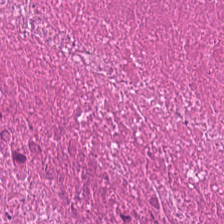H&E patch showing necrotic debris.
